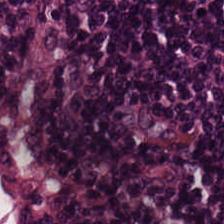H&E.
Tissue: lymphocyte aggregate.
